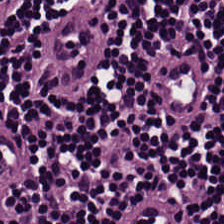H&E stain. 224×224 px tile. Tissue class = lymphocyte aggregate.
